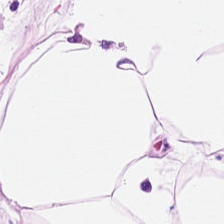Hematoxylin-and-eosin stained section · brightfield microscopy. Adipose.
